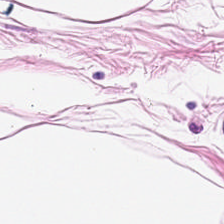Stain: H&E-stained tissue section.
Predominant tissue: adipose.
